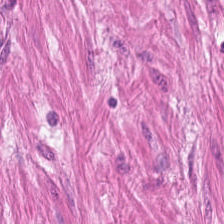H&E stain — Q: What type of tissue is this?
A: This is smooth muscle.
